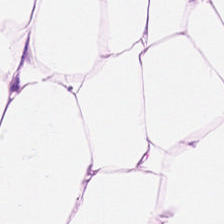Hematoxylin-and-eosin stained section; 0.5 µm per pixel.
Histology — adipose.
